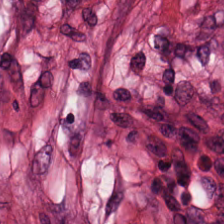This patch shows desmoplastic stroma.
